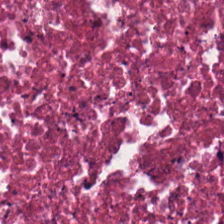Brightfield. H&E-stained tissue section. Q: Identify the tissue.
A: Cellular debris.
